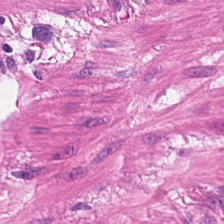Hematoxylin-and-eosin stained section · formalin-fixed paraffin-embedded section.
Tissue: smooth muscle.
